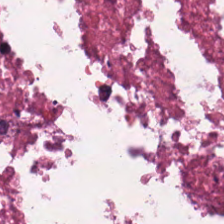H&E-stained tissue section · FFPE.
Tissue type — cellular debris.
